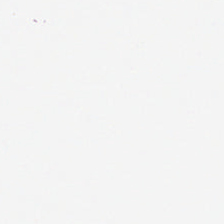H&E-stained tissue section. 20× equivalent magnification.
This patch shows background.
